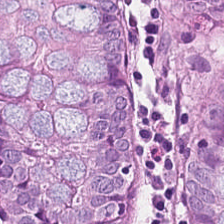H&E stain; FFPE tissue section — This field is normal colon mucosa.
